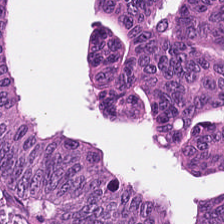This patch shows colorectal adenocarcinoma.
